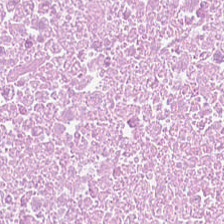H&E stain.
Predominantly necrotic debris.
